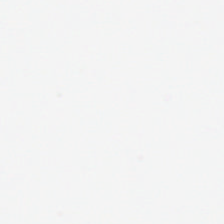Hematoxylin and eosin; 224×224 px tile; whole-slide-image patch. Empty field — background (no tissue).
